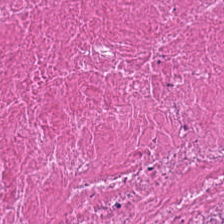Stain: hematoxylin and eosin.
Classification: necrotic debris.
